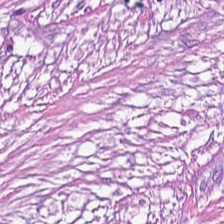H&E-stained tissue section. 0.5 microns per pixel. FFPE.
Q: Classify this patch.
A: The field shows tumor stroma.
